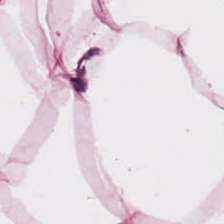Q: What does this patch show?
A: Adipose.
